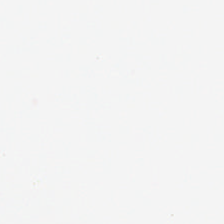224×224 pixel tile · H&E stain.
No tissue present; background only.
